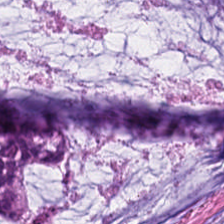H&E-stained tissue section. {"tissue_type": "mucin"}
